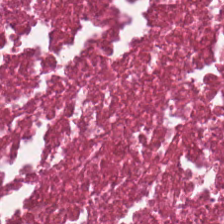224×224 px tile. H&E — The tissue class is cellular debris.
